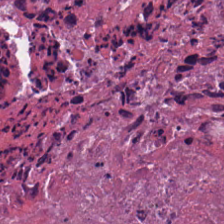H&E.
Tissue type: cellular debris.
